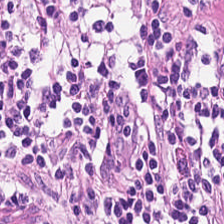Hematoxylin-and-eosin stained section · formalin-fixed paraffin-embedded section. Predominantly lymphoid infiltrate.
